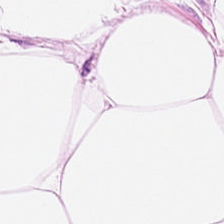Q: What tissue is shown?
A: Adipose tissue.
